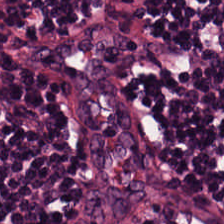H&E stain.
The tissue is lymphocytic infiltrate.
